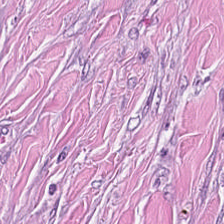Stain: H&E-stained tissue section.
Tile size: 224×224 px patch.
Predominant tissue: cancer-associated stroma.
